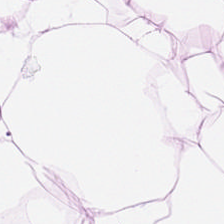FFPE · hematoxylin-and-eosin stained section · WSI patch. This field is adipose tissue.
